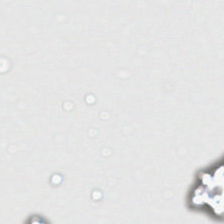Hematoxylin and eosin — Q: What is shown in this field?
A: The field shows no tissue.
